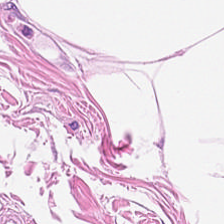0.5 µm per pixel. 224×224 px patch. Hematoxylin-and-eosin stained section. Impression → adipose tissue.
